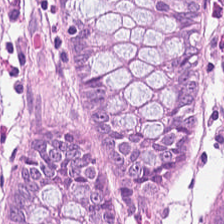0.5 µm/px. Hematoxylin-and-eosin stained section. Finding — normal colonic mucosa.
